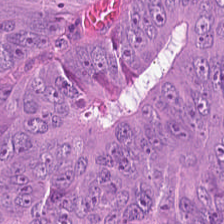Impression → colorectal adenocarcinoma epithelium.
